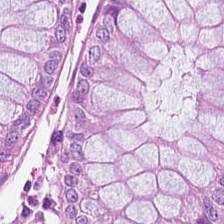Hematoxylin-and-eosin stained section.
Finding → non-neoplastic colon mucosa.
